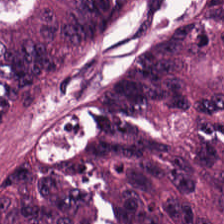Q: What tissue type is shown here?
A: It is colorectal adenocarcinoma epithelium.
